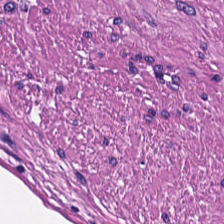Hematoxylin and eosin. Predominant tissue = muscularis.
